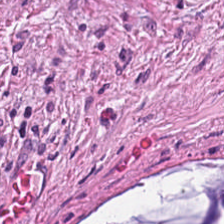H&E-stained tissue section.
Q: What is shown in this field?
A: This is extracellular mucin.
